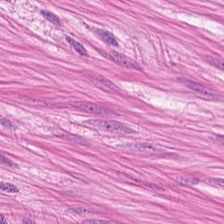H&E.
Tissue type: smooth muscle.
